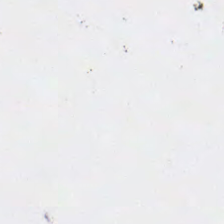Brightfield. Hematoxylin and eosin. 0.5 µm/px.
Empty field — no tissue.
